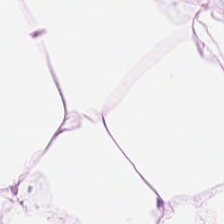H&E stain; 20× equivalent magnification; WSI patch — {"tissue_type": "fat tissue"}
